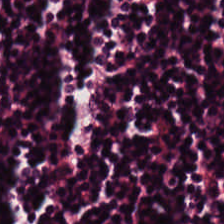Stain: H&E stain.
Acquisition: brightfield.
Classification: lymphocyte aggregate.
